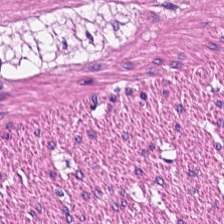H&E.
Finding → muscularis.
